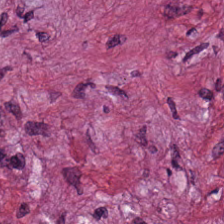Hematoxylin-and-eosin stained section.
Q: Classify this patch.
A: Tumor stroma.
